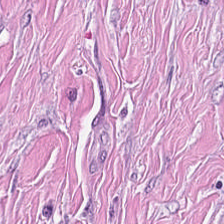The tissue here is tumor stroma.
